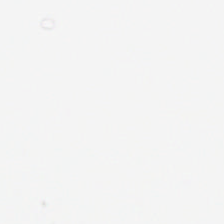Formalin-fixed paraffin-embedded section · H&E-stained tissue section · brightfield — This field is background (no tissue).
